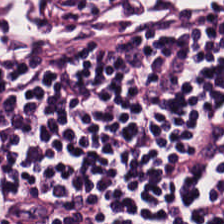Stain: H&E-stained tissue section.
Predominant tissue: lymphoid infiltrate.
